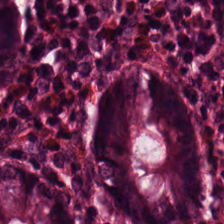H&E stain · brightfield.
This patch shows benign colonic mucosa.
